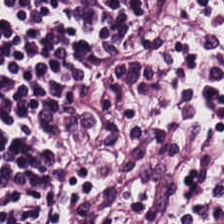H&E.
{"tissue_type": "lymphocyte aggregate"}
